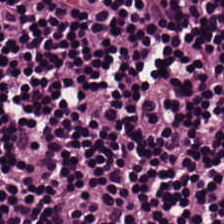H&E; 0.5 µm/px; WSI patch.
The predominant tissue is lymphocyte aggregate.
